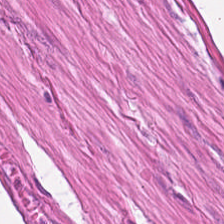0.5 µm per pixel. H&E. FFPE tissue section — Tissue: muscularis.
